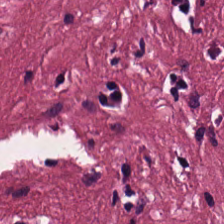Stain: hematoxylin and eosin.
Predominant tissue: cancer-associated stroma.
